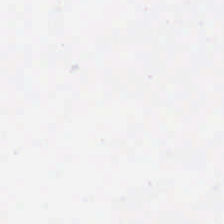Hematoxylin and eosin. Empty field — background (no tissue).
